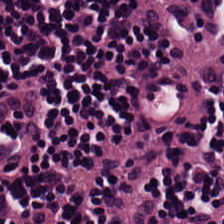Stain: hematoxylin and eosin.
Classification: lymphocyte aggregate.
